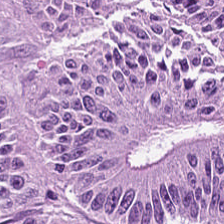Tissue type: adenocarcinoma.
